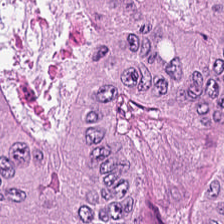Q: Classify this patch.
A: This is colorectal adenocarcinoma.
